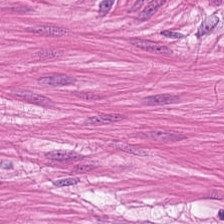This field is smooth-muscle tissue.
